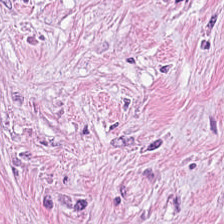The predominant tissue is cancer-associated stroma.
